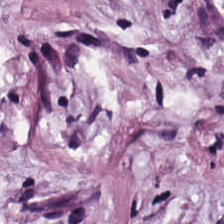H&E; 224×224 px tile; FFPE tissue section — Finding → desmoplastic stroma.
